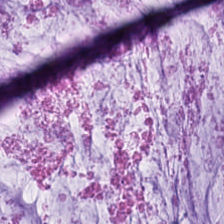{"tissue_type": "extracellular mucin"}
